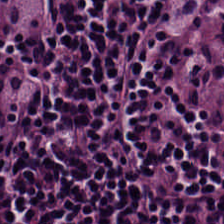H&E stain. 224×224 px patch. Q: What does this patch show?
A: The field shows lymphocytic infiltrate.
